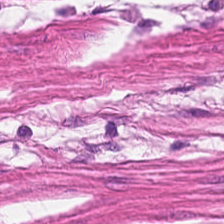FFPE tissue section · 224×224 px tile · hematoxylin-and-eosin stained section — Predominantly smooth muscle.
